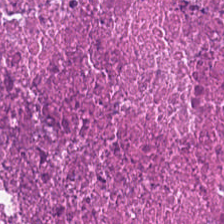Hematoxylin-and-eosin stained section. Formalin-fixed paraffin-embedded section. This patch shows debris.
